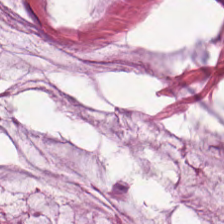H&E stain; brightfield microscopy — This field is mucus.
